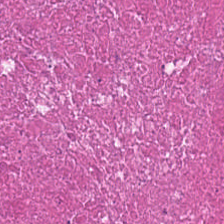H&E stain. Tissue: cellular debris.
